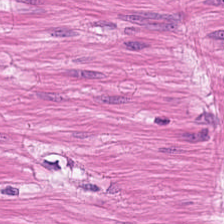Formalin-fixed paraffin-embedded section; hematoxylin and eosin.
This patch shows smooth-muscle tissue.
